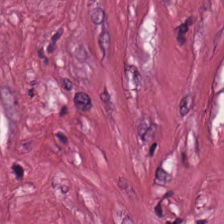Hematoxylin-and-eosin stained section — Showing tumor-associated stroma.
